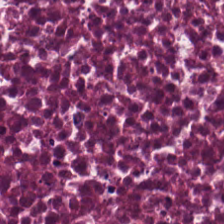H&E patch showing debris.
